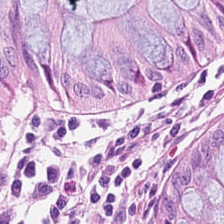Impression → non-neoplastic colon mucosa.
